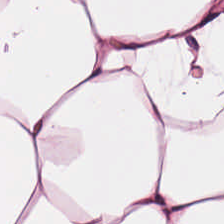H&E stain. Impression — fat tissue.
